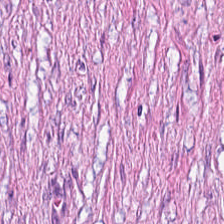Stain: H&E.
Predominant tissue: tumor stroma.
